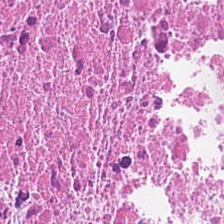The predominant tissue is necrotic debris.
